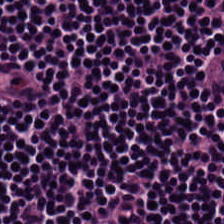20× equivalent magnification · hematoxylin-and-eosin stained section. The tissue class is lymphoid infiltrate.
